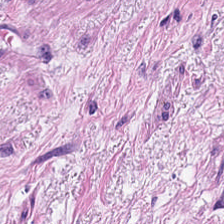Hematoxylin and eosin. Q: Identify the tissue.
A: It is smooth muscle.
